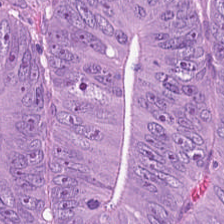224×224 px tile. Hematoxylin-and-eosin stained section. Brightfield. {"tissue_type": "adenocarcinoma"}
